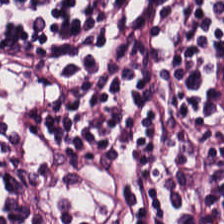Hematoxylin-and-eosin stained section. 0.5 µm/px. Formalin-fixed paraffin-embedded section.
Classification: lymphoid infiltrate.
